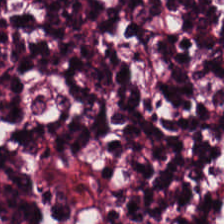Stain: hematoxylin and eosin.
Tissue class: lymphoid infiltrate.
